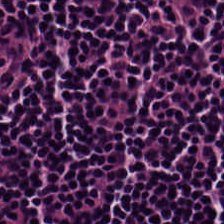Hematoxylin and eosin · 0.5 µm per pixel — Predominant tissue — lymphocyte aggregate.
